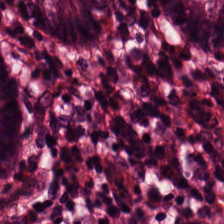Q: Identify the tissue.
A: It is non-neoplastic colon mucosa.
